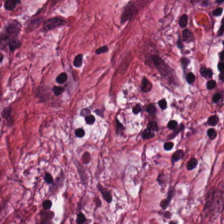Hematoxylin and eosin.
The tissue here is tumor stroma.
